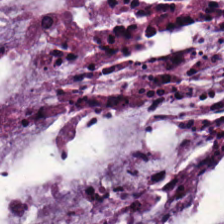The predominant tissue is mucus.
